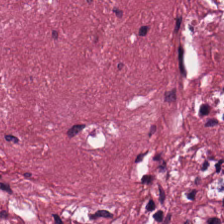Cancer-associated stroma.
